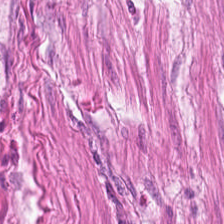Tissue type = smooth muscle.
